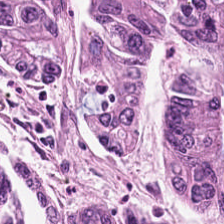Q: What type of tissue is this?
A: The field shows tumor epithelium.
